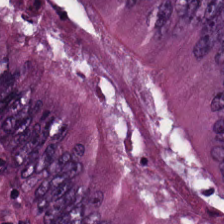Hematoxylin and eosin.
Q: What is shown here?
A: The field shows tumor epithelium.
